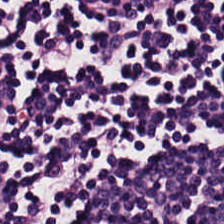Stain: H&E-stained tissue section.
Predominant tissue: lymphocyte aggregate.
